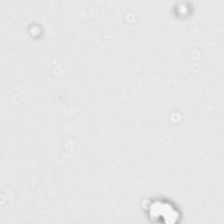Hematoxylin and eosin — Empty field — empty background.
